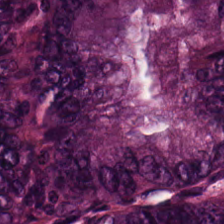The tissue type is tumor epithelium.
